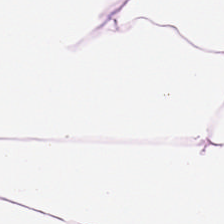Hematoxylin-and-eosin section: fat tissue.
